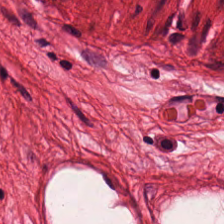Stain: H&E-stained tissue section.
Predominant tissue: smooth-muscle tissue.
